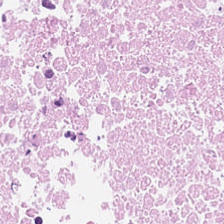H&E-stained tissue section.
Predominant tissue: cellular debris.
